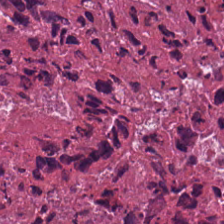Hematoxylin and eosin.
Predominantly necrotic debris.
